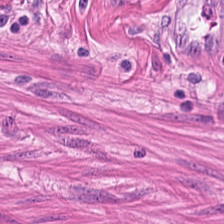Predominantly muscularis.
